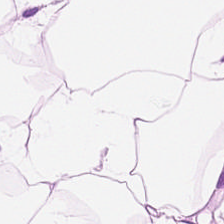Tissue class — adipocytes.
